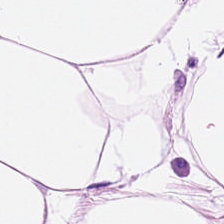Hematoxylin-and-eosin stained section — Classification = fat tissue.
